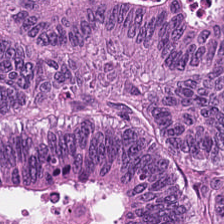Formalin-fixed paraffin-embedded section. 224×224 pixel tile. Hematoxylin-and-eosin stained section — Tissue: colorectal adenocarcinoma.
